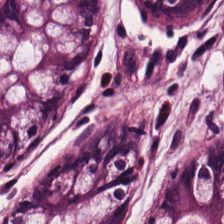H&E — Predominantly normal colonic mucosa.
